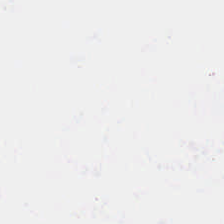Hematoxylin-and-eosin stained section. Content — background.
